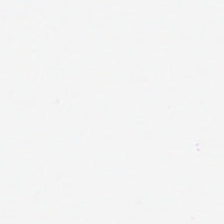No tissue present; background only.
